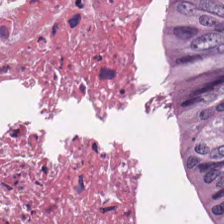The predominant tissue is debris.
